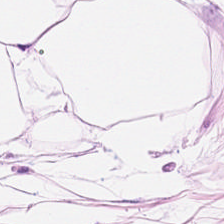H&E-stained section; the field shows fat tissue.
